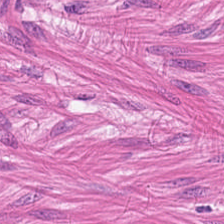Q: What is shown here?
A: It is smooth-muscle tissue.
